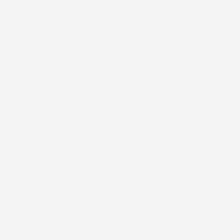H&E-stained tissue section · 0.5 µm/px — Empty field — background.
